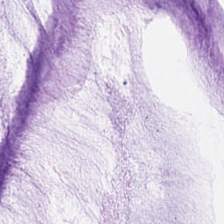H&E stain. Predominant tissue = mucin.
